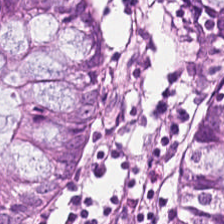0.5 µm/px · H&E · brightfield microscopy.
Predominantly non-neoplastic colon mucosa.
